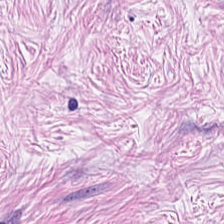The predominant tissue is tumor stroma.
